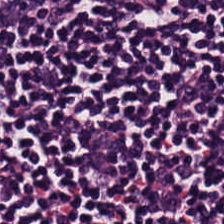Finding — lymphoid infiltrate.
